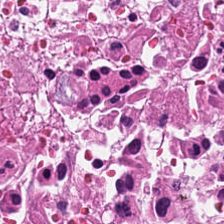FFPE · brightfield microscopy · hematoxylin-and-eosin stained section. Cellular debris.
